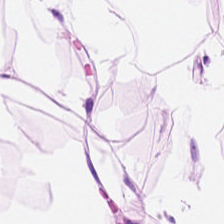Hematoxylin-and-eosin stained section — Tissue type = adipocytes.
